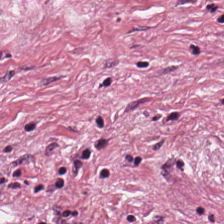H&E-stained tissue section showing tumor-associated stroma.
